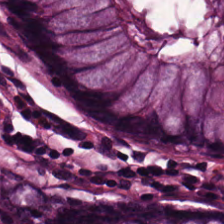H&E-stained tissue section — Tissue class: normal colonic mucosa.
